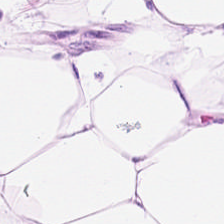Q: What tissue type is shown here?
A: This is adipose.
